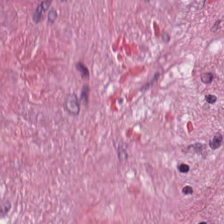Tissue class — tumor-associated stroma.
